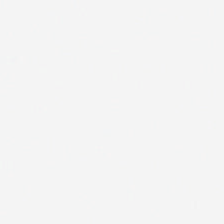Background (no tissue).
